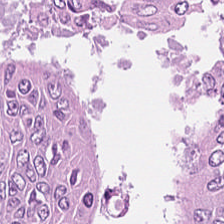{"tissue_type": "colorectal adenocarcinoma"}
